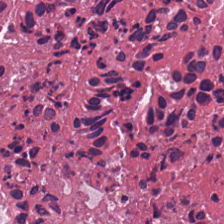Hematoxylin and eosin. 224×224 px tile. Tissue type — cellular debris.
